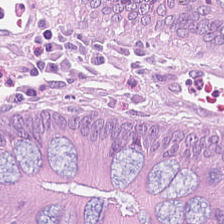Stain: H&E-stained tissue section.
Predominant tissue: normal colonic mucosa.
